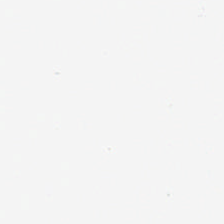H&E. 20× equivalent magnification — {"content": "background (no tissue)"}
